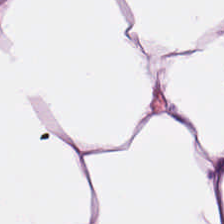H&E-stained section; the field shows adipose tissue.
